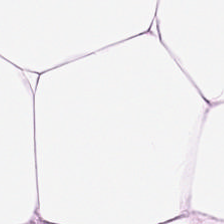H&E stain. Q: Identify the tissue.
A: Adipose.
